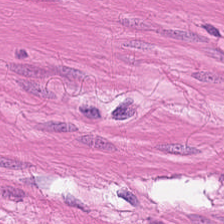{"tissue_type": "muscularis"}
